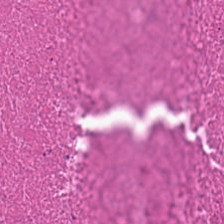Stain: hematoxylin-and-eosin stained section.
Resolution: 0.5 microns per pixel.
Preparation: FFPE.
Tissue: debris.
